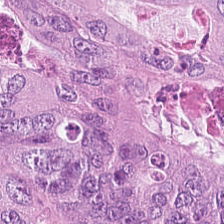H&E stain.
Predominantly malignant epithelium.
